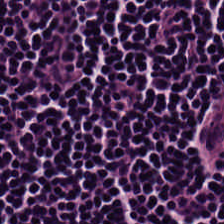Q: Identify the tissue.
A: This is lymphocyte aggregate.
